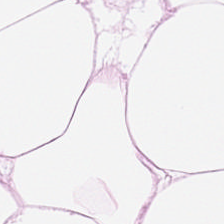Brightfield microscopy. 224×224 pixel tile. H&E-stained tissue section.
Finding — adipose.
